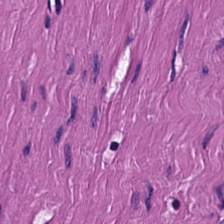Hematoxylin and eosin. 0.5 µm per pixel. Predominantly smooth-muscle tissue.
